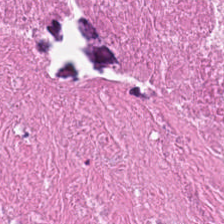Formalin-fixed paraffin-embedded section; hematoxylin-and-eosin stained section. Necrotic debris.
